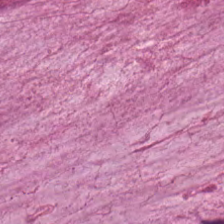H&E-stained tissue section. Brightfield microscopy — This patch shows mucus.
